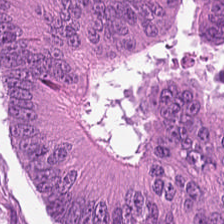Hematoxylin-and-eosin stained section. This field is colorectal adenocarcinoma.
